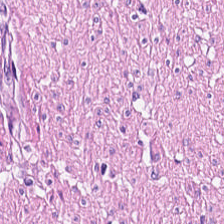FFPE tissue section · hematoxylin and eosin · 224×224 pixel tile.
{"tissue_type": "smooth-muscle tissue"}
